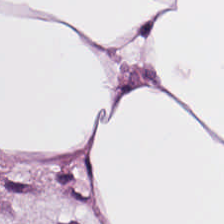H&E stain.
Histology → adipocytes.
